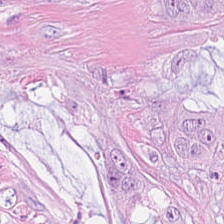FFPE; H&E stain; whole-slide-image patch — The tissue is colorectal adenocarcinoma.
